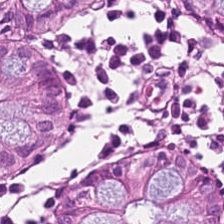Formalin-fixed paraffin-embedded section. H&E stain. Histology → benign colonic mucosa.
